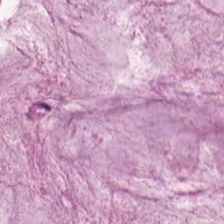Hematoxylin-and-eosin stained section. 0.5 microns per pixel — Q: What does this patch show?
A: This is mucin.
